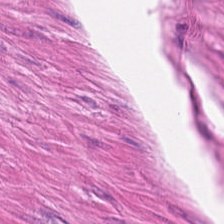FFPE tissue section · H&E-stained tissue section · 0.5 microns per pixel.
The classification is smooth muscle.
